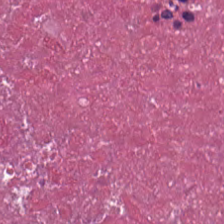H&E stain — Predominantly debris.
